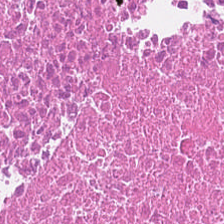H&E-stained tissue section.
Classification = cellular debris.
